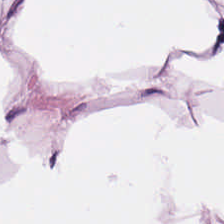H&E — Showing adipose tissue.
